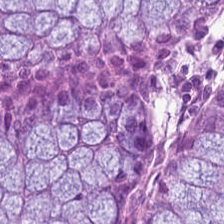Whole-slide-image patch. FFPE tissue section. H&E — Tissue — benign colonic mucosa.
